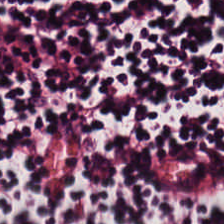H&E-stained tissue section — Tissue type — lymphocyte aggregate.
